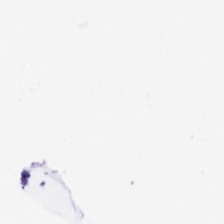H&E-stained tissue section. This field is background (no tissue).
